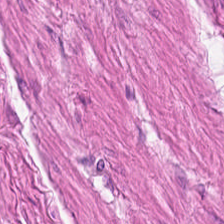Stain: H&E stain.
Classification: smooth muscle.
